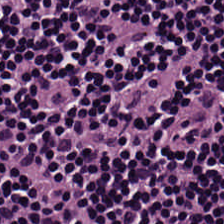H&E-stained tissue section — The tissue type is lymphocyte aggregate.
